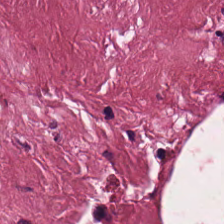0.5 µm/px; H&E stain — Predominantly tumor stroma.
